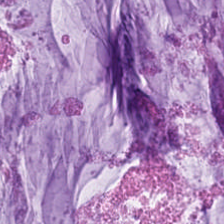H&E patch showing mucin.
